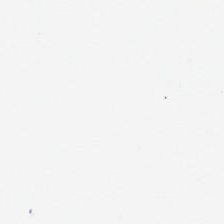0.5 µm per pixel. Brightfield microscopy. H&E stain.
Empty field — no tissue.
